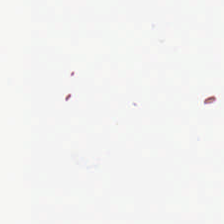H&E stain. Q: What is shown here?
A: It is background (no tissue).
